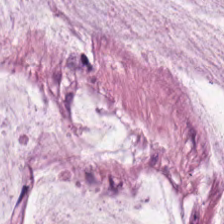H&E. Showing mucin.
